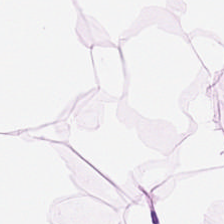H&E · brightfield — Adipocytes.
